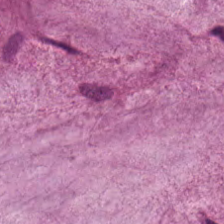Histology — extracellular mucin.
